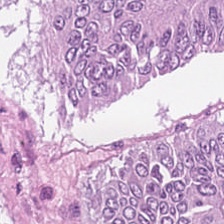Hematoxylin-and-eosin stained section.
Predominantly tumor epithelium.
